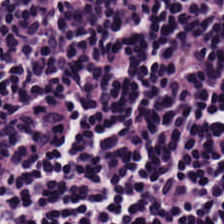Hematoxylin-and-eosin stained section. Finding — lymphocytes.
